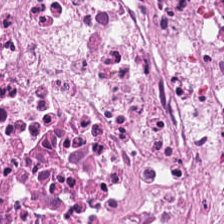Hematoxylin-and-eosin stained section — Finding — cellular debris.
